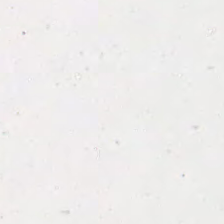Stain: hematoxylin and eosin.
Content: background (no tissue).
